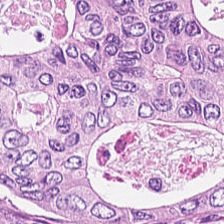Tissue = tumor epithelium.
